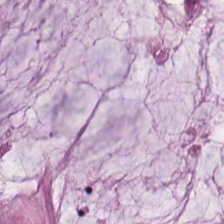H&E stain.
Mucin.
